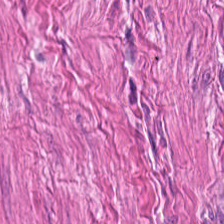Q: What is shown in this field?
A: It is smooth-muscle tissue.
